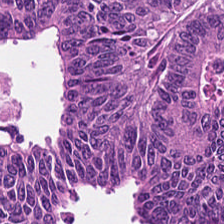Q: What does this patch show?
A: It is tumor epithelium.
